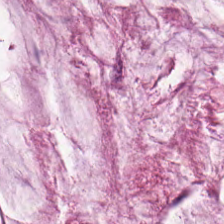FFPE. WSI patch. Hematoxylin and eosin. Tissue type = mucus.
